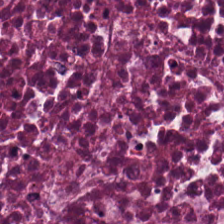0.5 µm/px · brightfield microscopy · hematoxylin-and-eosin stained section.
Tissue class = necrotic debris.
